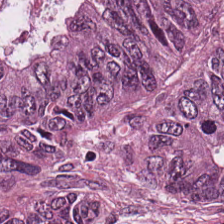Formalin-fixed paraffin-embedded section. 0.5 microns per pixel. Hematoxylin and eosin — The predominant tissue is tumor epithelium.
